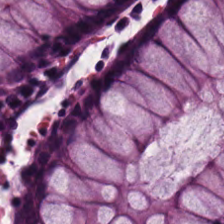Finding → normal colon mucosa.
